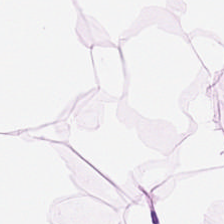Stain: hematoxylin-and-eosin stained section.
Acquisition: brightfield.
Tissue: adipocytes.
